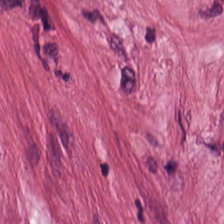H&E.
Predominantly desmoplastic stroma.
